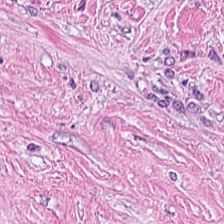Hematoxylin and eosin · WSI patch · FFPE.
Tissue class — tumor stroma.
